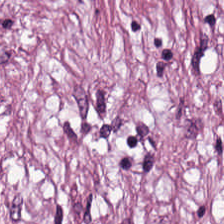H&E-stained tissue section showing tumor stroma.
